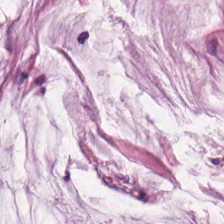H&E.
Predominantly mucus.
